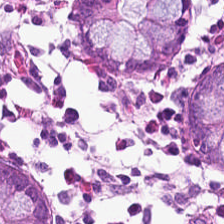Hematoxylin and eosin; 224×224 pixel tile.
The predominant tissue is normal colon mucosa.
